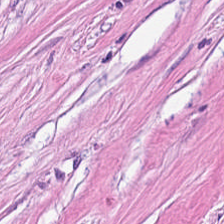Brightfield · H&E stain.
Q: What tissue type is shown here?
A: Desmoplastic stroma.
